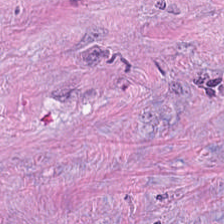Stain: H&E stain.
Tissue: tumor-associated stroma.
